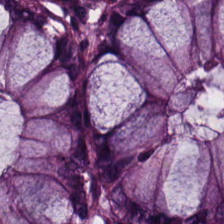H&E-stained tissue section — Predominant tissue — non-neoplastic colon mucosa.
